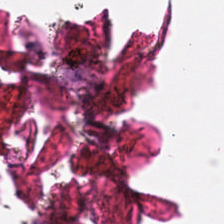Empty field — no tissue.
